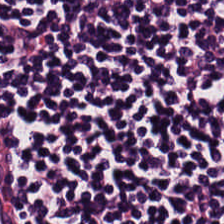Classification — lymphocytic infiltrate.
